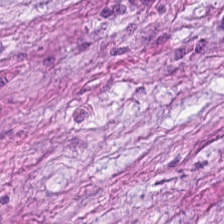Hematoxylin-and-eosin stained section — The predominant tissue is cancer-associated stroma.
